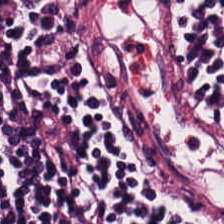224×224 pixel tile. Hematoxylin and eosin. The predominant tissue is lymphoid infiltrate.
